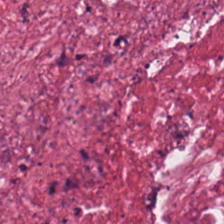Stain: H&E stain.
Classification: tumor stroma.
